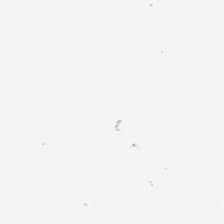{"content": "empty background"}
